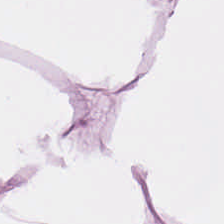H&E-stained tissue section.
This field is adipocytes.
